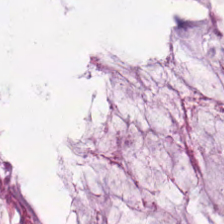H&E · WSI patch. Predominantly mucus.
